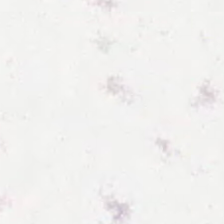Hematoxylin-and-eosin stained section — Q: What is shown in this field?
A: It is background.
